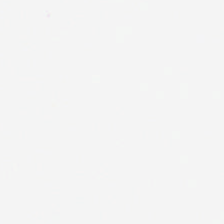H&E.
Q: Classify this patch.
A: The field shows empty background.
